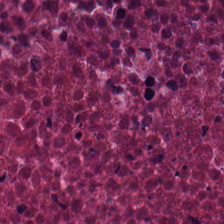Hematoxylin and eosin. Tissue class — cellular debris.
